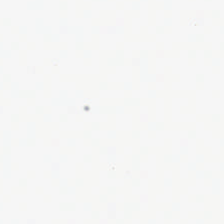Hematoxylin and eosin · 0.5 µm per pixel — Q: Classify this patch.
A: Empty background.
